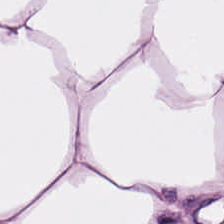WSI patch. H&E. 224×224 px tile. {"tissue_type": "adipose tissue"}
